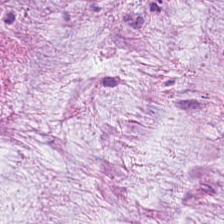Stain: H&E stain.
Tissue: mucus.
